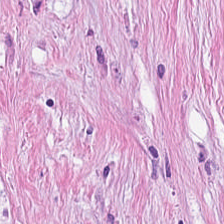H&E.
The predominant tissue is cancer-associated stroma.
